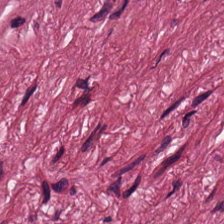H&E patch showing desmoplastic stroma.
